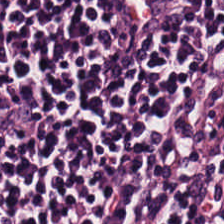H&E-stained tissue section — The tissue class is lymphocyte aggregate.
